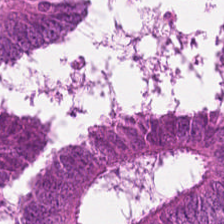Stain: hematoxylin-and-eosin stained section.
Tissue type: tumor epithelium.
